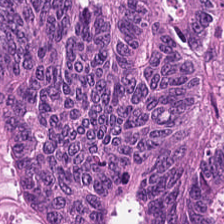Stain: H&E stain.
Tissue: malignant epithelium.
